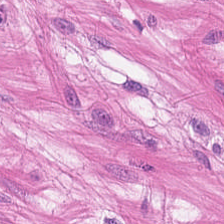Stain: hematoxylin-and-eosin stained section.
Preparation: formalin-fixed paraffin-embedded section.
Classification: muscularis.
